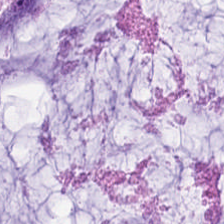Hematoxylin-and-eosin stained section — Showing mucus.
